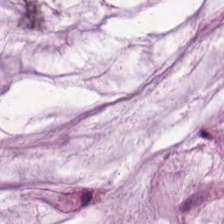Hematoxylin-and-eosin stained section; FFPE — Q: Classify this patch.
A: It is mucin.
